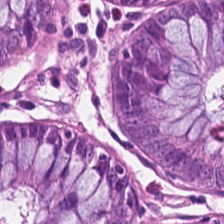Q: Classify this patch.
A: It is non-neoplastic colon mucosa.
